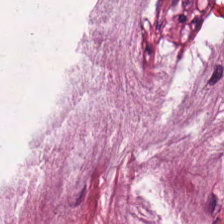H&E · 20× equivalent magnification — The tissue here is extracellular mucin.
